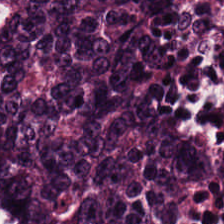Finding → tumor epithelium.
